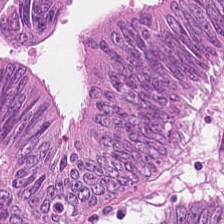Stain: hematoxylin-and-eosin stained section.
Preparation: FFPE tissue section.
Resolution: 0.5 µm per pixel.
Tissue type: tumor epithelium.
